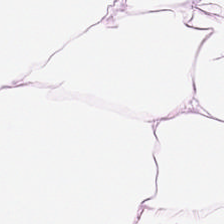224×224 px tile. Hematoxylin-and-eosin stained section. The predominant tissue is adipocytes.
